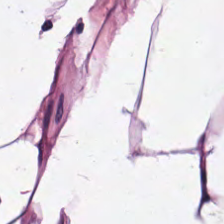Hematoxylin-and-eosin stained section. Tissue type = fat tissue.
